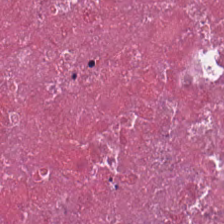H&E. WSI patch. Predominantly necrotic debris.
